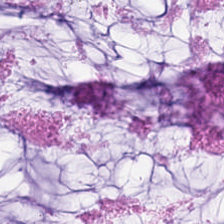Stain: hematoxylin-and-eosin stained section.
Tissue type: mucin.
